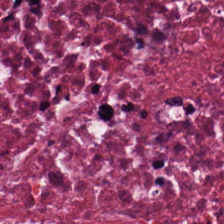H&E — Q: What is shown in this field?
A: This is necrotic debris.
